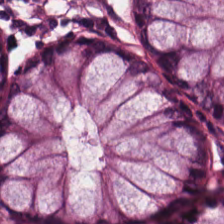H&E-stained tissue section showing non-neoplastic colon mucosa.
